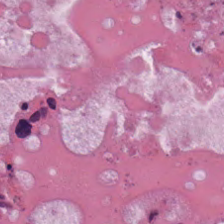20× equivalent magnification; hematoxylin-and-eosin stained section — Histology — cellular debris.
